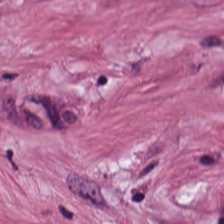Hematoxylin-and-eosin stained section — Finding — desmoplastic stroma.
